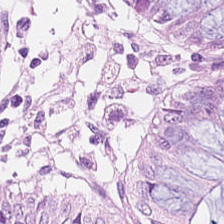H&E-stained tissue section; 0.5 µm/px. Histology → benign colonic mucosa.
